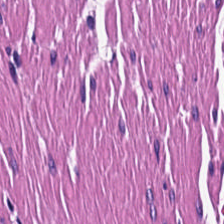Stain: H&E stain.
Tissue: smooth-muscle tissue.
